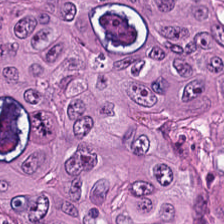H&E-stained tissue section. Tissue type — colorectal adenocarcinoma epithelium.
